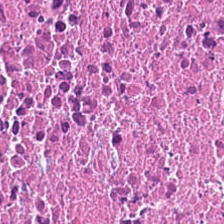Brightfield · 224×224 pixel tile · H&E-stained tissue section — The predominant tissue is cellular debris.
